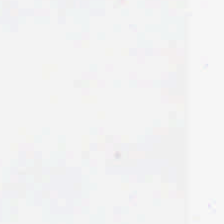H&E stain.
Background — no tissue in this field.
